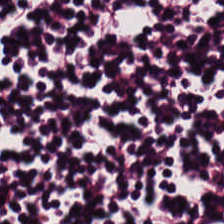H&E stain; 0.5 microns per pixel.
The predominant tissue is lymphocytic infiltrate.
